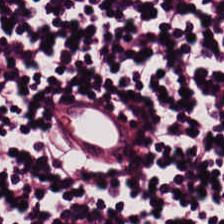Hematoxylin and eosin. Tissue — lymphocytes.
